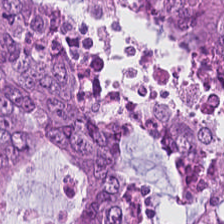224×224 pixel tile · formalin-fixed paraffin-embedded section · H&E stain — Showing malignant epithelium.
